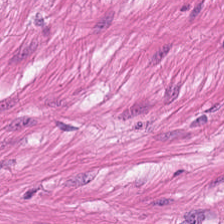H&E patch showing smooth-muscle tissue.
